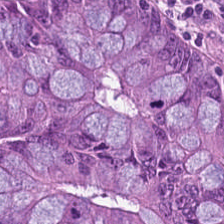H&E stain.
Impression — adenocarcinoma.
